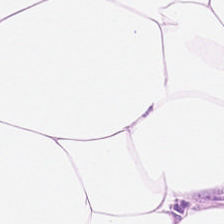Tissue = adipocytes.
